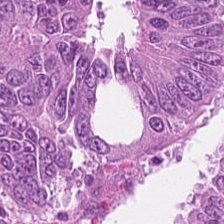Stain: H&E stain.
Tissue: adenocarcinoma.
